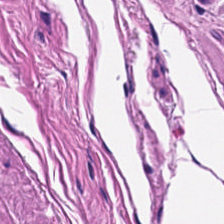{"tissue_type": "smooth-muscle tissue"}
